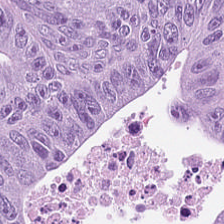The tissue here is malignant epithelium.
